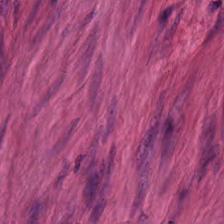Hematoxylin-and-eosin stained section.
The predominant tissue is smooth muscle.
